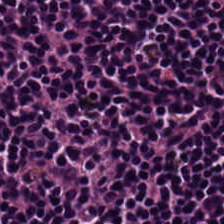Predominantly lymphocyte aggregate.
